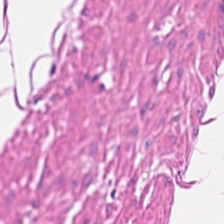H&E stain. Brightfield microscopy. FFPE tissue section — Finding — muscularis.
